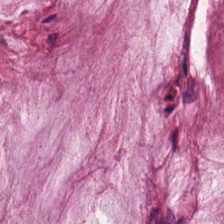Brightfield microscopy. H&E. FFPE — Tissue: mucus.
